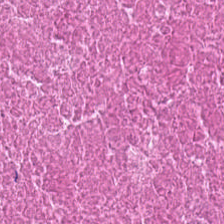Stain: H&E-stained tissue section.
Classification: cellular debris.
